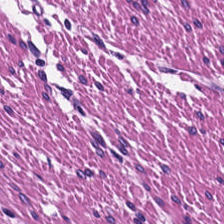H&E.
This patch shows smooth-muscle tissue.
